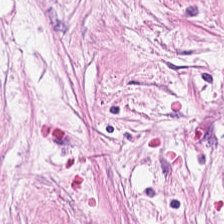H&E — Tumor stroma.
